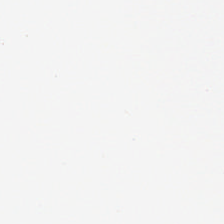20× equivalent magnification · whole-slide-image patch · H&E-stained tissue section.
This field is background (no tissue).
